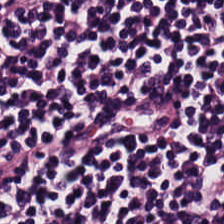Classification = lymphocytic infiltrate.
